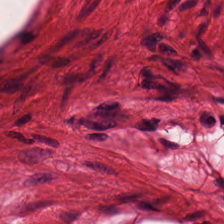H&E · brightfield. Q: Classify this patch.
A: It is smooth muscle.
